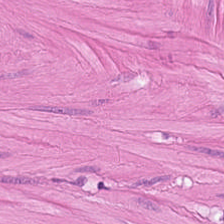Hematoxylin-and-eosin stained section.
{"tissue_type": "smooth muscle"}
